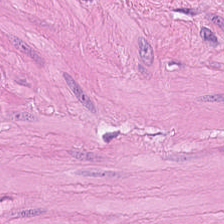H&E stain. Q: What does this patch show?
A: This is smooth-muscle tissue.
